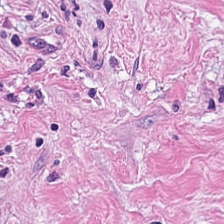Stain: H&E-stained tissue section.
Tissue: tumor stroma.
